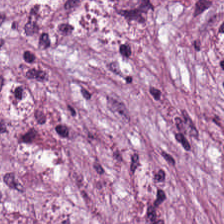H&E-stained tissue section. 224×224 px tile. 0.5 microns per pixel.
The predominant tissue is tumor stroma.
